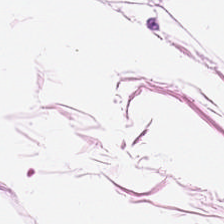Stain: hematoxylin-and-eosin stained section.
Predominant tissue: fat tissue.
